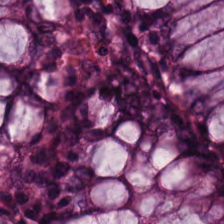H&E · 0.5 microns per pixel.
This patch shows normal colon mucosa.
